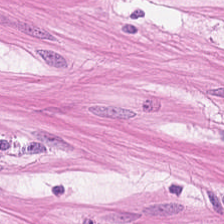Predominant tissue = smooth muscle.
